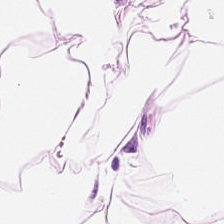Predominant tissue: adipocytes.
